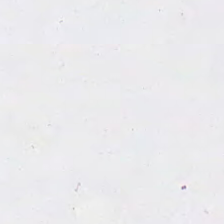Hematoxylin and eosin — Q: What is shown here?
A: This is empty background.
